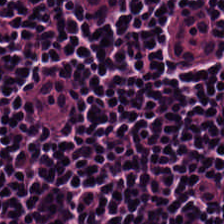H&E-stained tissue section — Predominantly lymphocyte aggregate.
